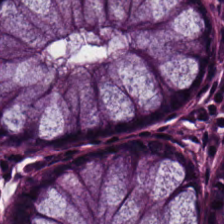Classification: normal colonic mucosa.
